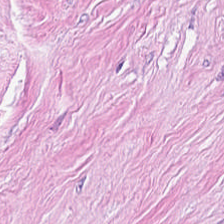0.5 µm per pixel · brightfield · H&E-stained tissue section. The tissue here is desmoplastic stroma.
